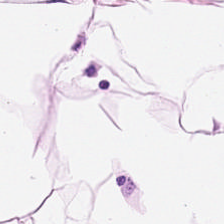Impression — adipose tissue.
